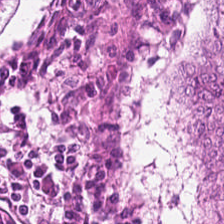Showing colorectal adenocarcinoma epithelium.
